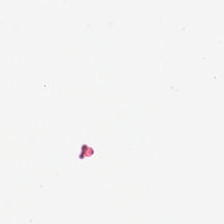Hematoxylin and eosin. Background — no tissue in this field.
